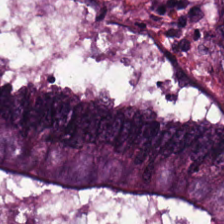Colorectal adenocarcinoma.
